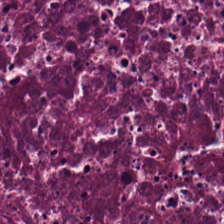FFPE · 224×224 px tile · H&E stain.
Classification: debris.
